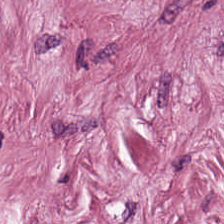H&E-stained tissue section; FFPE — The tissue here is cancer-associated stroma.
